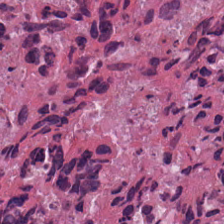Hematoxylin-and-eosin stained section — The tissue here is debris.
